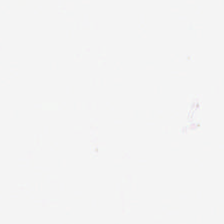Stain: H&E-stained tissue section.
Preparation: FFPE.
Content: no tissue.
